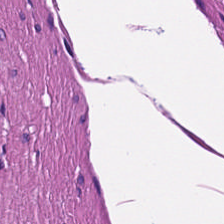H&E-stained tissue section. This patch shows smooth-muscle tissue.
